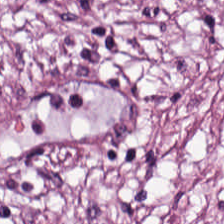0.5 µm/px. H&E stain. 224×224 pixel tile.
Showing desmoplastic stroma.
